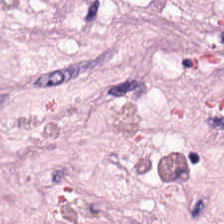Hematoxylin and eosin. Q: What is shown in this field?
A: This is cancer-associated stroma.
